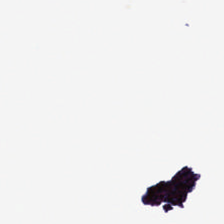Q: What is shown here?
A: Empty background.
